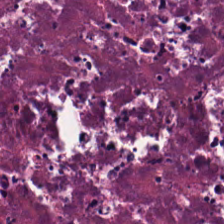FFPE tissue section · WSI patch · hematoxylin and eosin — Showing necrotic debris.
